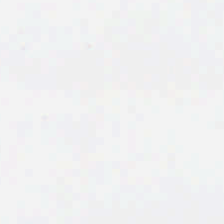H&E stain. {"content": "background (no tissue)"}
